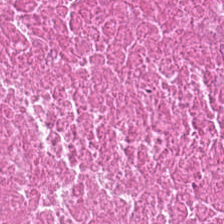Showing necrotic debris.
